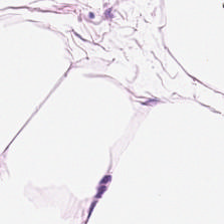H&E patch showing adipose tissue.
